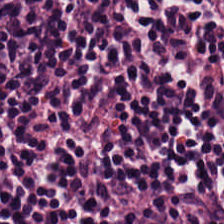H&E; brightfield microscopy — Tissue class = lymphoid infiltrate.
